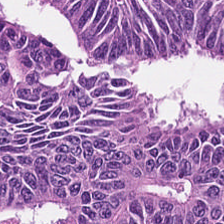H&E-stained tissue section — The predominant tissue is colorectal adenocarcinoma.
